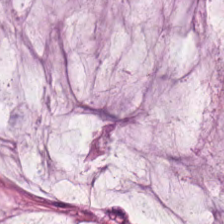Formalin-fixed paraffin-embedded section; H&E.
Extracellular mucin.
